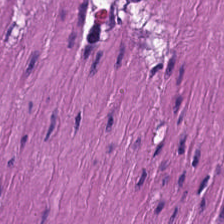Stain: hematoxylin and eosin.
Tile size: 224×224 pixel tile.
Tissue class: smooth muscle.
